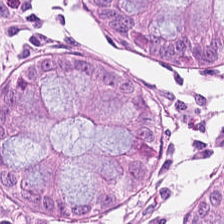H&E; 224×224 pixel tile.
Q: Identify the tissue.
A: This is normal colonic mucosa.
